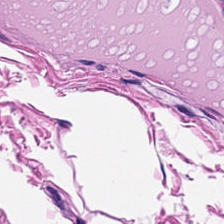Brightfield. H&E-stained tissue section — This patch shows smooth-muscle tissue.
